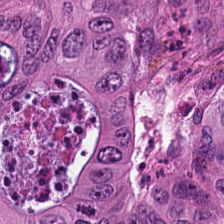Hematoxylin and eosin — Finding → malignant epithelium.
